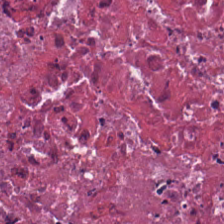Hematoxylin-and-eosin section: necrotic debris.
